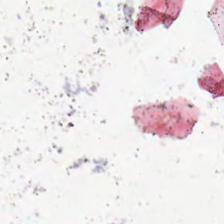Hematoxylin-and-eosin stained section; FFPE; whole-slide-image patch — Q: Classify this patch.
A: The field shows no tissue.
